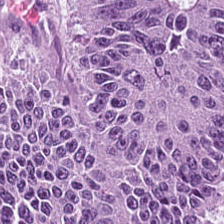This patch shows malignant epithelium.
